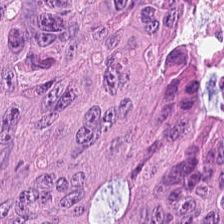H&E stain.
The tissue here is adenocarcinoma.
